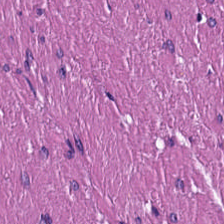H&E stain. This field is smooth muscle.
